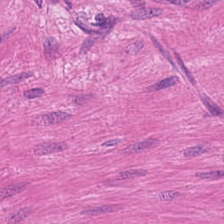0.5 µm per pixel; hematoxylin-and-eosin stained section.
The tissue here is smooth muscle.
